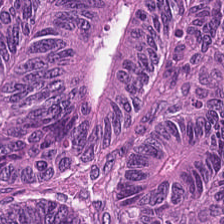Finding — colorectal adenocarcinoma.
